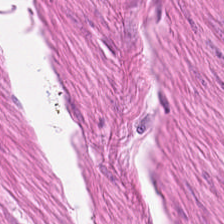H&E. The predominant tissue is smooth muscle.
